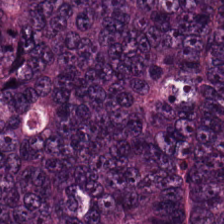Tissue type: tumor epithelium.
